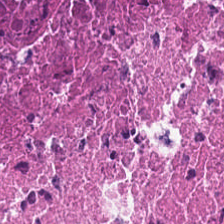224×224 pixel tile · hematoxylin and eosin.
The predominant tissue is necrotic debris.
